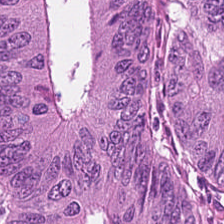Stain: hematoxylin and eosin.
Tissue class: colorectal adenocarcinoma epithelium.
